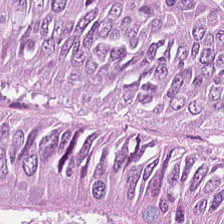H&E-stained tissue section. Q: Identify the tissue.
A: The field shows adenocarcinoma.
